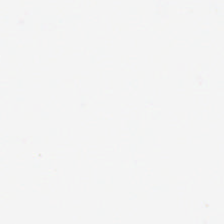Hematoxylin-and-eosin stained section. Classification — background (no tissue).
